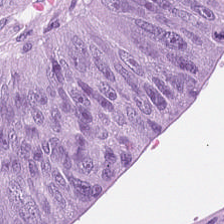Stain: H&E.
Predominant tissue: tumor epithelium.
